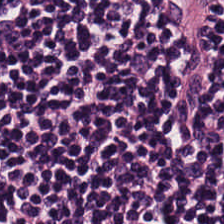The predominant tissue is lymphoid infiltrate.
